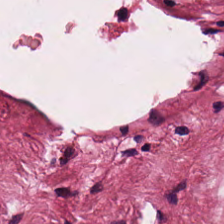Hematoxylin and eosin · WSI patch · 20× equivalent magnification.
Tissue type: tumor-associated stroma.
